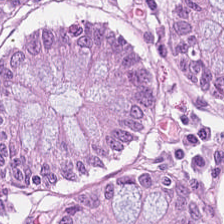Hematoxylin and eosin — Q: What tissue type is shown here?
A: Benign colonic mucosa.
